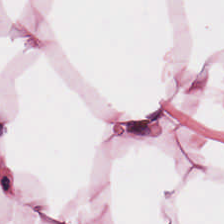Whole-slide-image patch. H&E stain. 224×224 px tile — Predominantly adipose.
